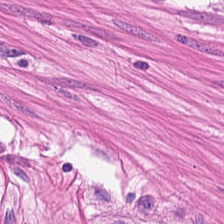H&E — Q: What is the predominant tissue type?
A: It is muscularis.
